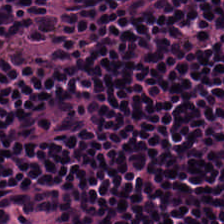0.5 µm per pixel; hematoxylin and eosin — Lymphocyte aggregate.
